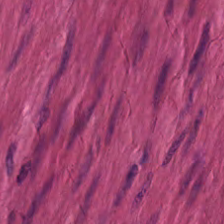H&E-stained tissue section · formalin-fixed paraffin-embedded section · 0.5 microns per pixel — Impression → muscularis.
